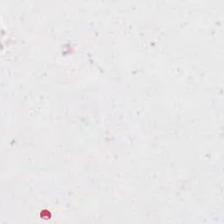H&E stain — No tissue present; background only.
